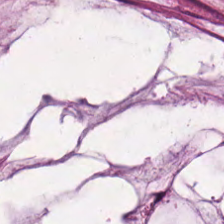Whole-slide-image patch; H&E.
Tissue: mucus.
